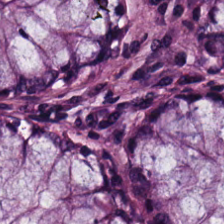Classification — benign colonic mucosa.
